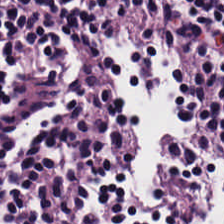0.5 µm per pixel · H&E-stained tissue section.
Q: Classify this patch.
A: Lymphocytic infiltrate.
